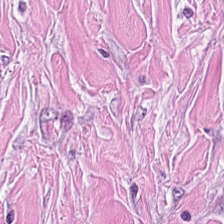Hematoxylin-and-eosin stained section; 20× equivalent magnification; 224×224 px patch.
The tissue here is cancer-associated stroma.
